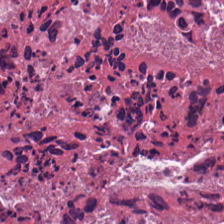Tissue class — cellular debris.
